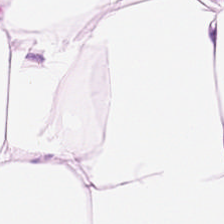224×224 px tile; hematoxylin and eosin — Tissue type — fat tissue.
